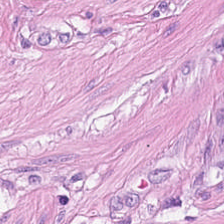H&E stain — This patch shows muscularis.
